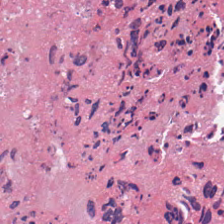H&E stain.
Showing debris.
